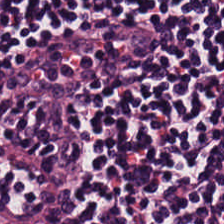224×224 px tile. H&E-stained tissue section. The tissue here is lymphocyte aggregate.
